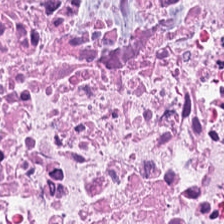H&E stain.
Tissue: debris.
